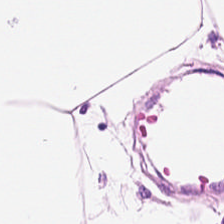WSI patch. H&E-stained tissue section. 20× equivalent magnification. Q: What is shown here?
A: Adipose tissue.
